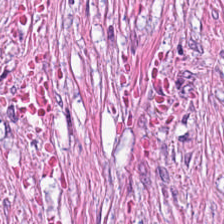H&E-stained tissue section. Tissue type = desmoplastic stroma.
